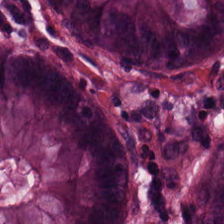H&E stain — The predominant tissue is normal colonic mucosa.
